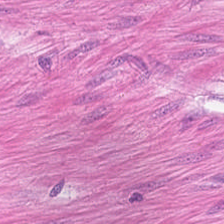Hematoxylin-and-eosin stained section — Q: Identify the tissue.
A: This is muscularis.
